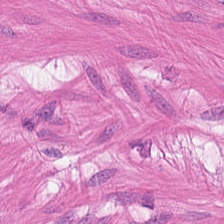Stain: H&E stain.
Predominant tissue: muscularis.
